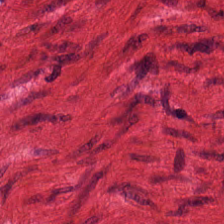Stain: hematoxylin and eosin.
Tissue: muscularis.
